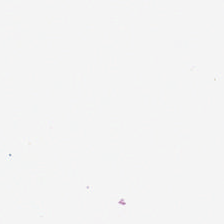Field content — background.
